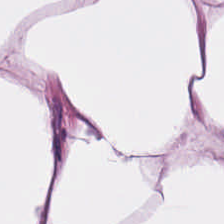0.5 µm per pixel. Hematoxylin and eosin. 224×224 px patch.
Predominantly fat tissue.
